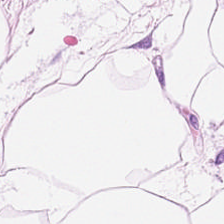Stain: H&E stain.
Tissue type: adipose.
